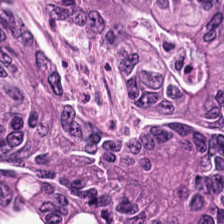H&E stain. Impression — colorectal adenocarcinoma.
